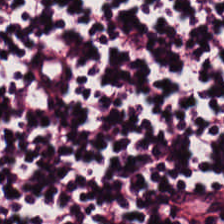Hematoxylin-and-eosin stained section.
Q: What type of tissue is this?
A: The field shows lymphocytes.
